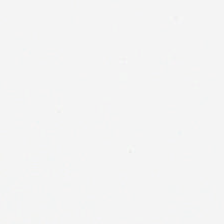H&E stain · brightfield microscopy. This field is background (no tissue).
